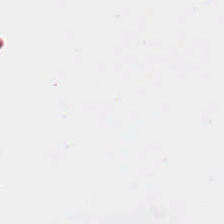224×224 pixel tile · hematoxylin and eosin. Classification: no tissue.
